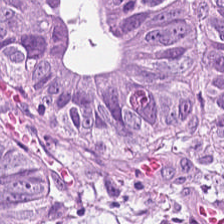Tissue type — tumor epithelium.
